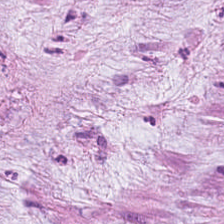Hematoxylin and eosin. The tissue here is extracellular mucin.
